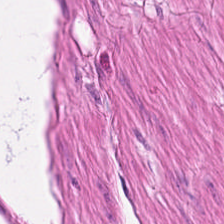Stain: H&E-stained tissue section.
Classification: smooth muscle.
